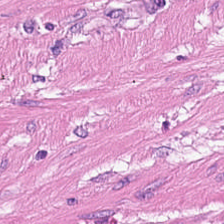Predominant tissue = smooth muscle.
